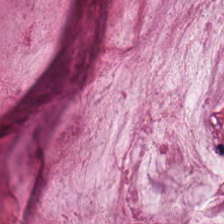H&E stain. Brightfield microscopy. Tissue type = mucus.
